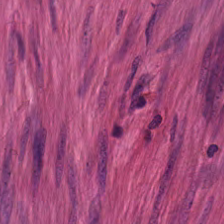Hematoxylin and eosin. Q: What type of tissue is this?
A: Smooth muscle.
